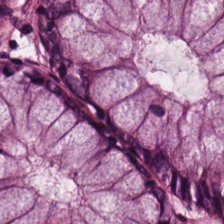Histology — benign colonic mucosa.
